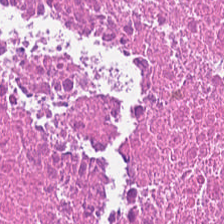Hematoxylin-and-eosin stained section. This field is debris.
